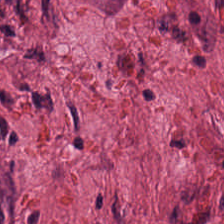Hematoxylin-and-eosin stained section. Classification — tumor-associated stroma.
